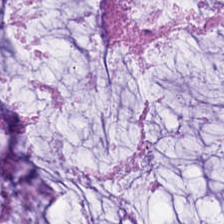Tissue type — mucus.
